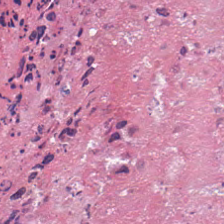Predominantly cellular debris.
